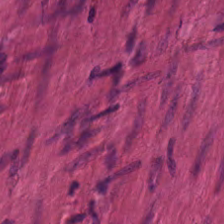H&E. Brightfield.
The tissue is muscularis.
